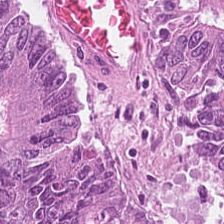Hematoxylin-and-eosin stained section — Q: What is the predominant tissue type?
A: It is malignant epithelium.
